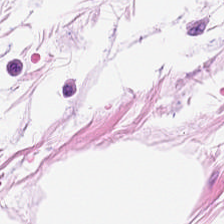H&E stain.
Finding — adipocytes.
